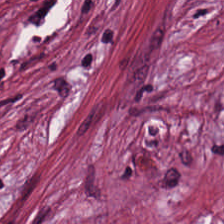Stain: H&E stain.
Tissue class: tumor stroma.
